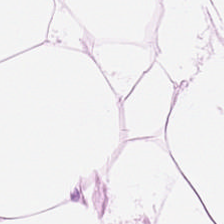224×224 px patch. Hematoxylin-and-eosin stained section.
The tissue here is adipose.
